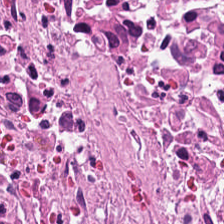Brightfield microscopy. H&E. Tissue class = necrotic debris.
